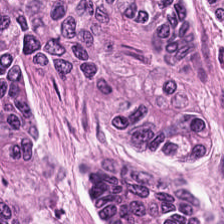Q: What is shown here?
A: Colorectal adenocarcinoma.
